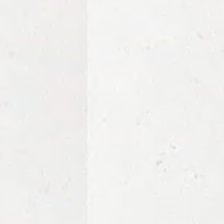Field content = no tissue.
